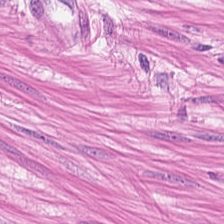Tissue class: muscularis.
